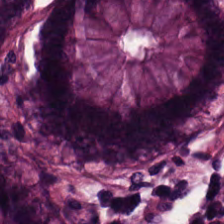224×224 px tile · hematoxylin and eosin · FFPE. {"tissue_type": "benign colonic mucosa"}
